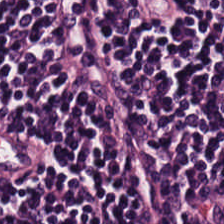Tissue type = lymphocyte aggregate.
